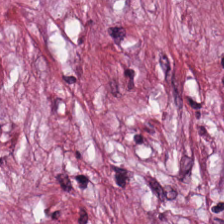Whole-slide-image patch · hematoxylin and eosin · FFPE tissue section.
This field is tumor stroma.
